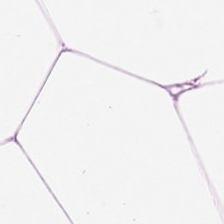Hematoxylin and eosin — Predominantly adipose tissue.
